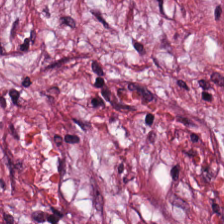Hematoxylin and eosin · formalin-fixed paraffin-embedded section.
Q: What type of tissue is this?
A: The field shows tumor stroma.
